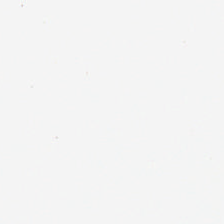224×224 px tile. FFPE tissue section. H&E-stained tissue section. Classification — background (no tissue).
